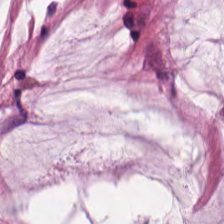H&E; whole-slide-image patch.
The predominant tissue is mucin.
